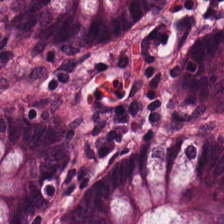FFPE; H&E stain. Benign colonic mucosa.
